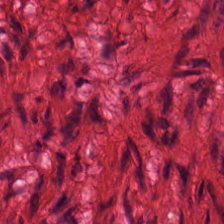H&E stain — Q: What tissue is shown?
A: This is smooth muscle.
